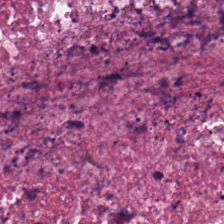H&E-stained tissue section; FFPE tissue section — Tissue type: necrotic debris.
